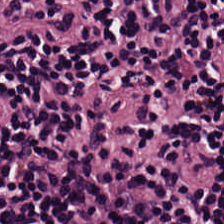H&E; whole-slide-image patch; 224×224 px patch — The tissue here is lymphocytes.
